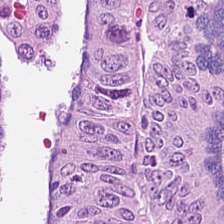Hematoxylin-and-eosin stained section.
Impression → colorectal adenocarcinoma.
